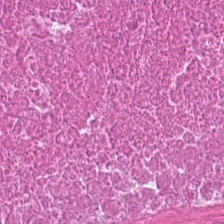H&E. Tissue type = necrotic debris.
